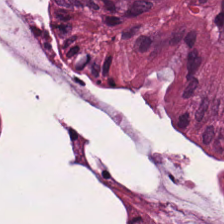0.5 µm/px · H&E-stained tissue section.
Q: What is the predominant tissue type?
A: It is non-neoplastic colon mucosa.
